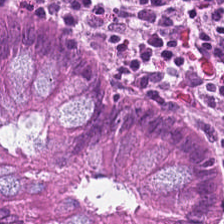Stain: H&E-stained tissue section.
Acquisition: whole-slide-image patch.
Resolution: 0.5 microns per pixel.
Tissue class: normal colonic mucosa.
